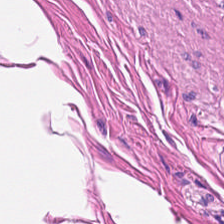H&E. 0.5 microns per pixel.
Finding → smooth-muscle tissue.
